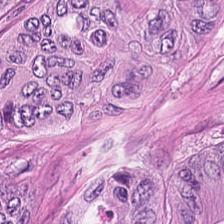Impression → colorectal adenocarcinoma.
